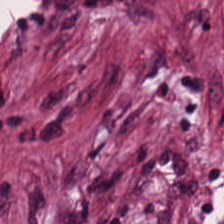Stain: hematoxylin and eosin.
Tissue: cancer-associated stroma.
